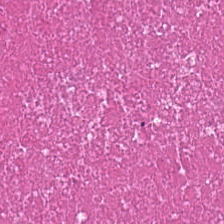H&E.
Tissue class: cellular debris.
